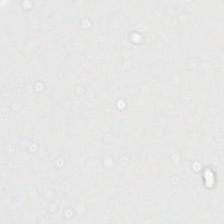0.5 µm per pixel · FFPE tissue section · hematoxylin and eosin. Classification = background (no tissue).
